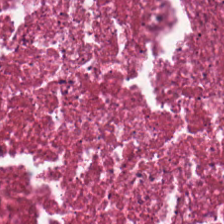H&E — Predominant tissue = cellular debris.
